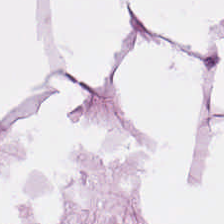Tissue class = adipose.
